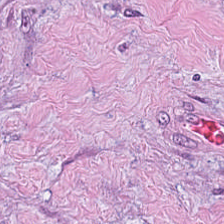H&E — The tissue here is desmoplastic stroma.
